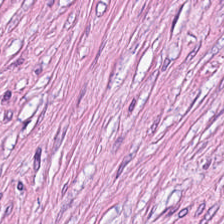Hematoxylin and eosin. Q: Classify this patch.
A: It is tumor stroma.
